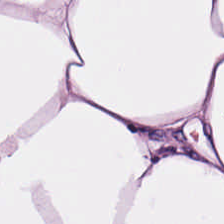20× equivalent magnification. FFPE tissue section. H&E — This field is fat tissue.
